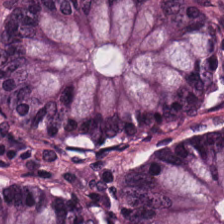Stain: H&E-stained tissue section.
Tile size: 224×224 px patch.
Tissue class: normal colonic mucosa.
